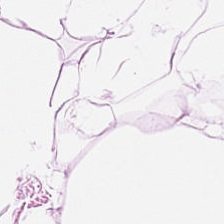H&E — adipose tissue.
